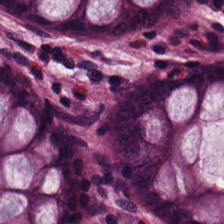H&E stain. Formalin-fixed paraffin-embedded section. 20× equivalent magnification — Q: What does this patch show?
A: This is normal colon mucosa.
